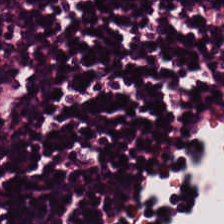H&E stain — The predominant tissue is lymphocytes.
